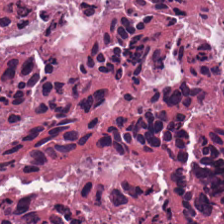Formalin-fixed paraffin-embedded section. 224×224 px patch. Hematoxylin-and-eosin stained section — The tissue here is cellular debris.
